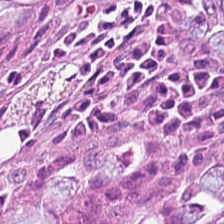Hematoxylin and eosin.
Normal colon mucosa.
